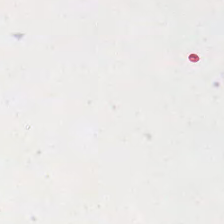H&E stain — Background — no tissue in this field.
